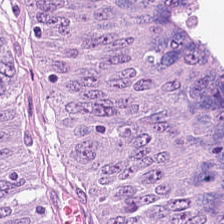H&E.
Predominant tissue: colorectal adenocarcinoma.
